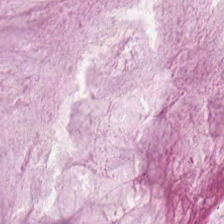0.5 µm/px · H&E. The predominant tissue is extracellular mucin.
